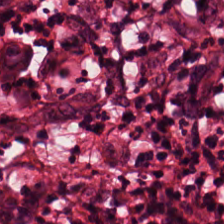H&E-stained tissue section. The tissue is tumor stroma.
